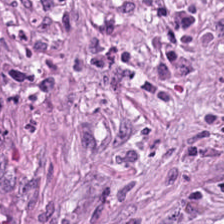H&E-stained section; the field shows desmoplastic stroma.
